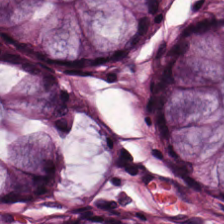Stain: H&E.
Tile size: 224×224 px tile.
Tissue type: benign colonic mucosa.
